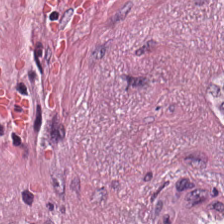Stain: hematoxylin-and-eosin stained section.
Tissue: cancer-associated stroma.
